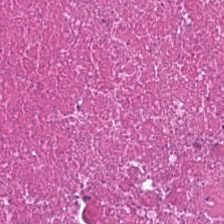H&E. Histology → necrotic debris.
